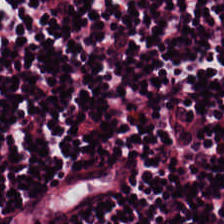Hematoxylin and eosin — Impression — lymphocyte aggregate.
